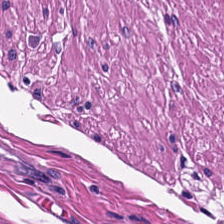H&E stain — This field is smooth muscle.
